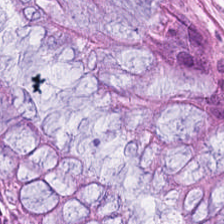Predominantly non-neoplastic colon mucosa.
